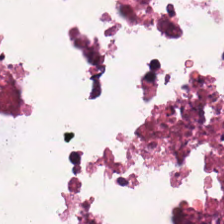H&E.
Q: What tissue type is shown here?
A: It is debris.
